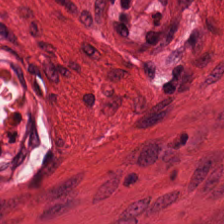Hematoxylin and eosin · whole-slide-image patch.
Finding → muscularis.
